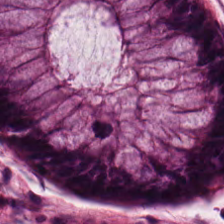Stain: hematoxylin-and-eosin stained section.
Predominant tissue: non-neoplastic colon mucosa.
